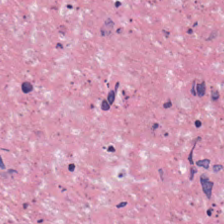H&E — Tissue class: necrotic debris.
